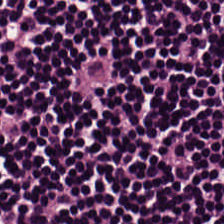H&E-stained tissue section; FFPE. The tissue is lymphocyte aggregate.
